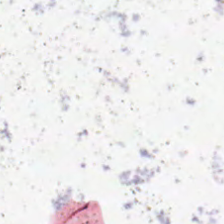H&E-stained tissue section — Impression — background (no tissue).
